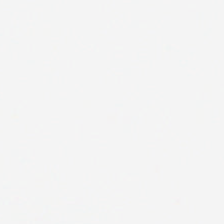H&E — This patch shows empty background.
